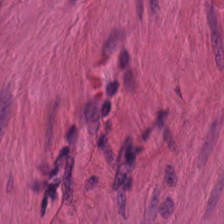224×224 pixel tile. Brightfield microscopy. H&E stain.
Predominant tissue = muscularis.
